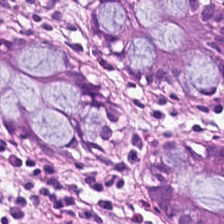H&E-stained tissue section. 224×224 px patch.
Showing normal colon mucosa.
